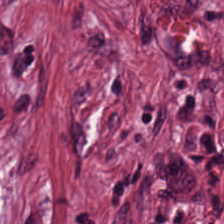FFPE tissue section. 224×224 px tile. H&E stain. Tissue = desmoplastic stroma.
